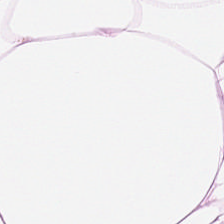H&E-stained tissue section — The predominant tissue is adipocytes.
